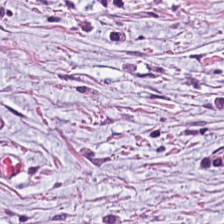Hematoxylin-and-eosin stained section — Tumor stroma.
